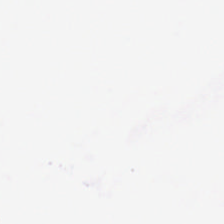Stain: H&E.
Resolution: 0.5 µm/px.
Classification: no tissue.
